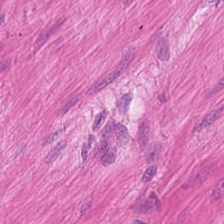Hematoxylin-and-eosin section: muscularis.
